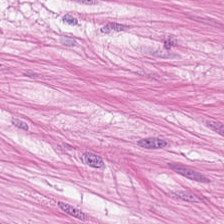Histology — smooth muscle.
